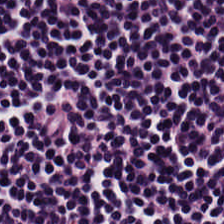Hematoxylin and eosin — Q: What is the predominant tissue type?
A: It is lymphocytes.
